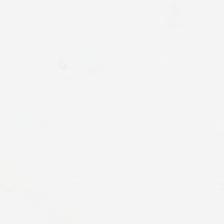224×224 px patch · hematoxylin and eosin · brightfield — Finding → no tissue.
